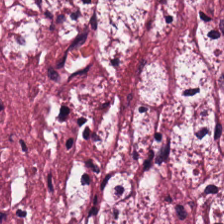Tissue class — cancer-associated stroma.
